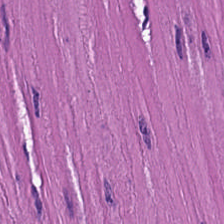Hematoxylin-and-eosin stained section — The tissue here is muscularis.
